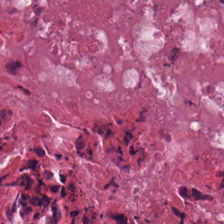0.5 µm per pixel. H&E-stained tissue section. 224×224 px tile — Predominantly cellular debris.
